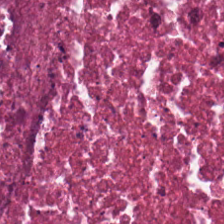0.5 µm/px. H&E-stained tissue section — This patch shows necrotic debris.
